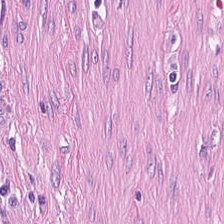Hematoxylin and eosin. Tissue = desmoplastic stroma.
